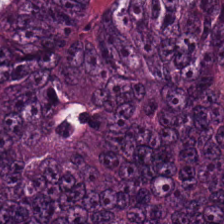Hematoxylin-and-eosin stained section. Tissue — colorectal adenocarcinoma epithelium.
